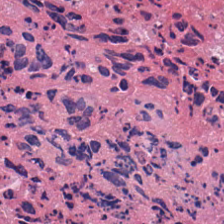Q: What is shown in this field?
A: The field shows necrotic debris.
